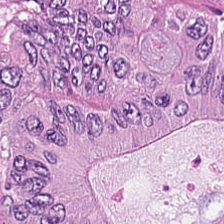H&E — The classification is tumor epithelium.
